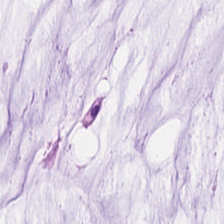Q: What is shown here?
A: The field shows mucus.
